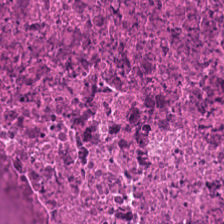Stain: H&E.
Classification: cellular debris.
